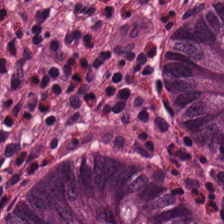H&E.
Q: What does this patch show?
A: The field shows non-neoplastic colon mucosa.
